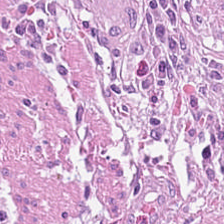H&E · brightfield.
Predominantly desmoplastic stroma.
